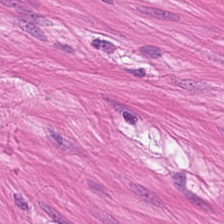H&E.
This patch shows smooth muscle.
